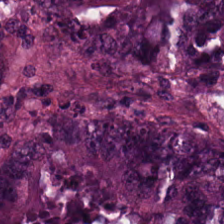Q: What is shown in this field?
A: It is tumor epithelium.
